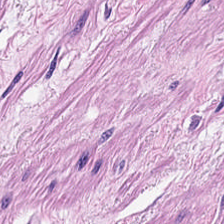Hematoxylin-and-eosin stained section — Muscularis.
